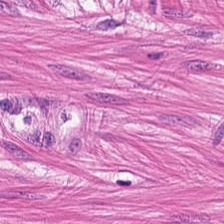H&E stain. Q: What is the predominant tissue type?
A: The field shows smooth-muscle tissue.
